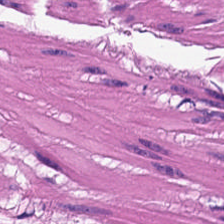224×224 pixel tile. Hematoxylin and eosin.
Finding — smooth-muscle tissue.
